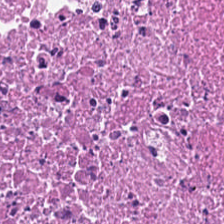Whole-slide-image patch · 20× equivalent magnification · H&E-stained tissue section. Tissue class = debris.
